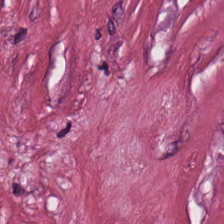Tissue — tumor-associated stroma.
